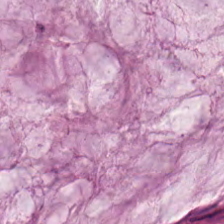Tissue type: mucus.
